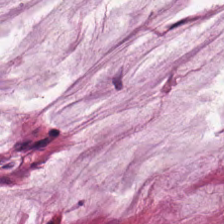H&E. The predominant tissue is extracellular mucin.
